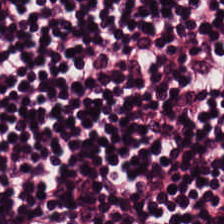Histology → lymphocytic infiltrate.
